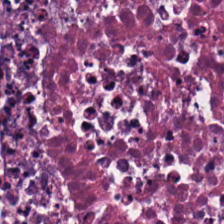Q: What is shown in this field?
A: Cellular debris.
